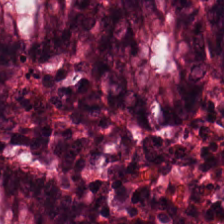Hematoxylin and eosin. FFPE. Q: What is shown in this field?
A: It is benign colonic mucosa.
